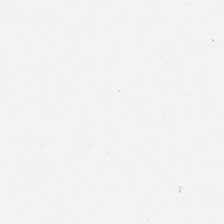Hematoxylin-and-eosin stained section. Formalin-fixed paraffin-embedded section. Content — background (no tissue).
